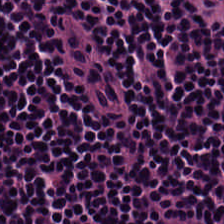Hematoxylin and eosin · 0.5 microns per pixel.
Showing lymphocytes.
